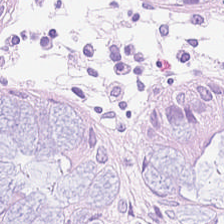H&E stain. Q: What tissue is shown?
A: This is normal colon mucosa.
